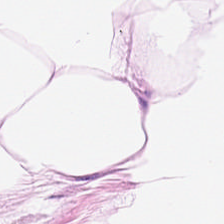The classification is adipocytes.
